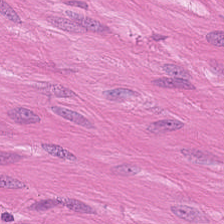{"tissue_type": "smooth-muscle tissue"}
